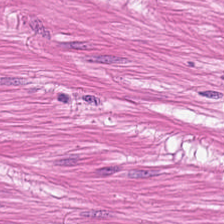H&E.
Tissue: smooth-muscle tissue.
